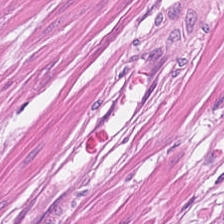H&E stain.
Tissue type: muscularis.
